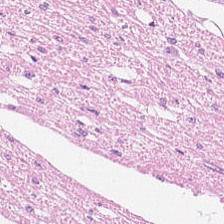Finding — smooth-muscle tissue.
